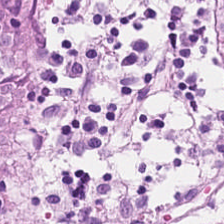Hematoxylin-and-eosin stained section — Predominantly non-neoplastic colon mucosa.
